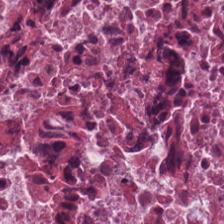224×224 pixel tile. 20× equivalent magnification. Hematoxylin and eosin. The tissue here is necrotic debris.
